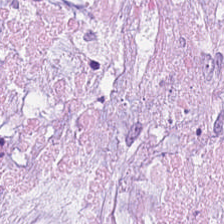H&E-stained tissue section · 224×224 px patch.
{"tissue_type": "mucus"}
